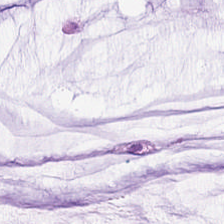Histology — mucin.
